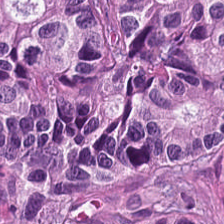H&E-stained tissue section. 224×224 px patch. Impression — malignant epithelium.
